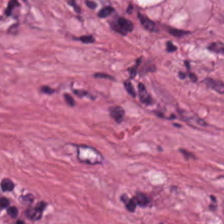224×224 px patch; hematoxylin-and-eosin stained section.
Tissue type = cancer-associated stroma.
